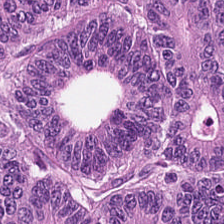Hematoxylin and eosin.
Classification — malignant epithelium.
